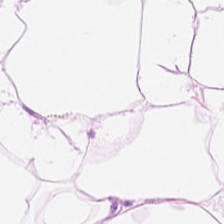224×224 px tile; hematoxylin and eosin.
Predominant tissue — adipose tissue.
